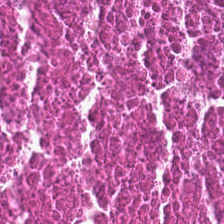Stain: H&E-stained tissue section.
Predominant tissue: necrotic debris.
